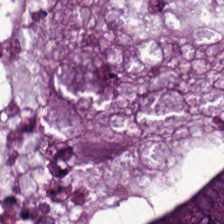Hematoxylin-and-eosin stained section.
Predominant tissue: malignant epithelium.
